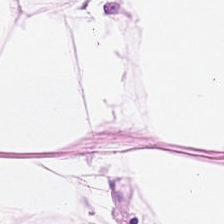0.5 microns per pixel · hematoxylin-and-eosin stained section — Adipocytes.
